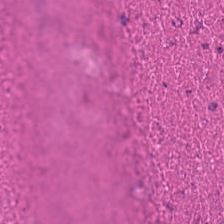The tissue here is necrotic debris.
